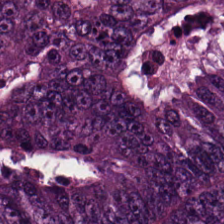FFPE tissue section. Hematoxylin-and-eosin stained section. Whole-slide-image patch.
{"tissue_type": "adenocarcinoma"}
